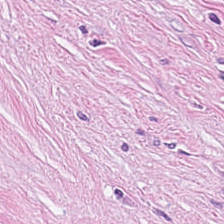The predominant tissue is cancer-associated stroma.
